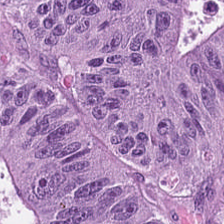Tissue — colorectal adenocarcinoma epithelium.
